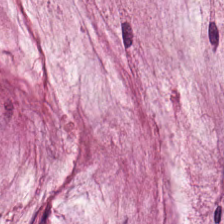Finding → mucin.
